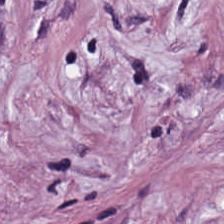H&E; 0.5 µm per pixel — Impression — tumor stroma.
